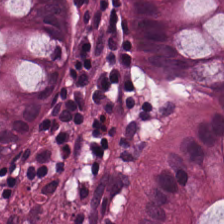H&E stain. Finding → non-neoplastic colon mucosa.
